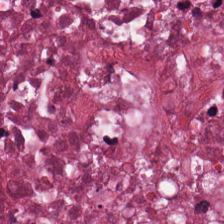Hematoxylin and eosin. Impression — necrotic debris.
